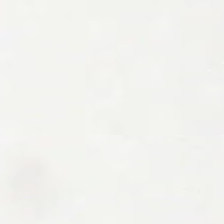Field content: empty background.
